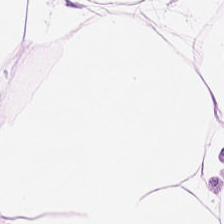H&E-stained tissue section — Predominantly fat tissue.
